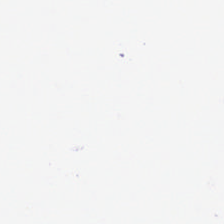H&E. Brightfield microscopy. Histology — background.
